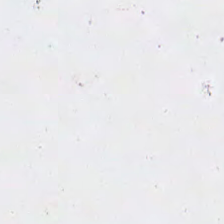Hematoxylin-and-eosin stained section · brightfield — Q: What does this patch show?
A: This is background (no tissue).
